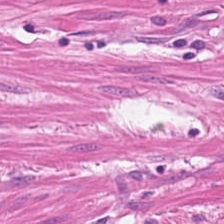H&E-stained tissue section.
Q: Classify this patch.
A: This is muscularis.
